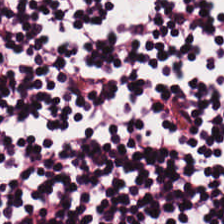224×224 px patch · hematoxylin-and-eosin stained section. Predominant tissue — lymphocytic infiltrate.
